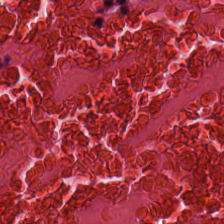H&E — necrotic debris.
